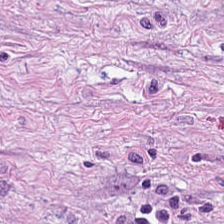FFPE. 224×224 px tile. H&E stain — {"tissue_type": "tumor-associated stroma"}
